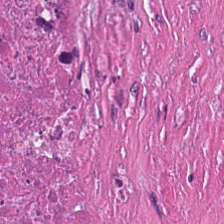Histology — necrotic debris.
